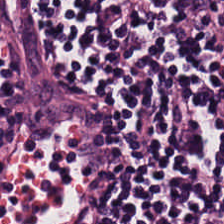H&E stain. WSI patch. The tissue here is lymphoid infiltrate.
